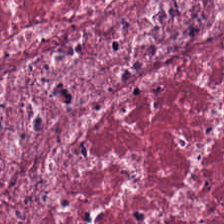H&E-stained tissue section; 224×224 pixel tile — Tissue — tumor stroma.
